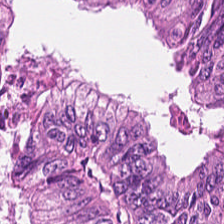This patch shows colorectal adenocarcinoma epithelium.
